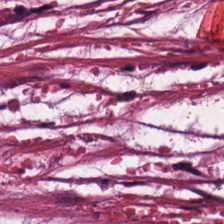Whole-slide-image patch · hematoxylin and eosin · 0.5 microns per pixel.
This field is cancer-associated stroma.
